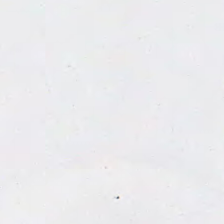224×224 pixel tile. Hematoxylin and eosin — Field content = background.
